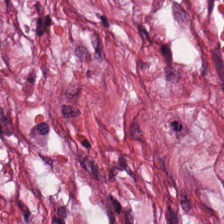Hematoxylin and eosin.
This field is cancer-associated stroma.
